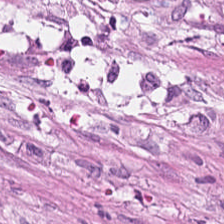Q: Identify the tissue.
A: Cancer-associated stroma.
